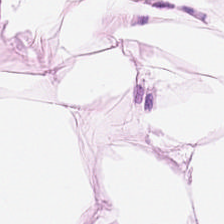H&E stain · formalin-fixed paraffin-embedded section. Predominantly adipocytes.
